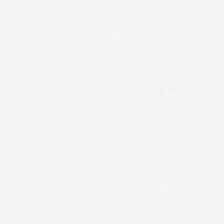Stain: hematoxylin and eosin.
Content: empty background.
